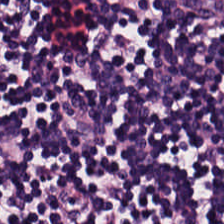H&E stain. This field is lymphoid infiltrate.
